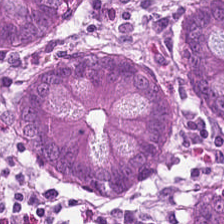H&E stain. Predominant tissue = normal colon mucosa.
